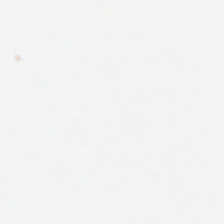H&E — Impression → background.
